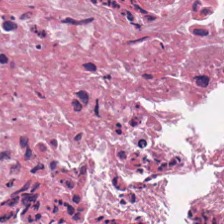H&E. {"tissue_type": "debris"}
